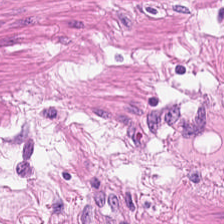H&E; 0.5 microns per pixel — The tissue here is smooth muscle.
